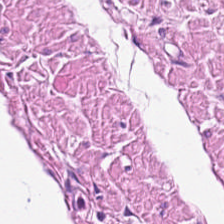WSI patch · hematoxylin and eosin. Q: What is the predominant tissue type?
A: This is smooth-muscle tissue.
